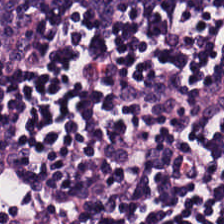Formalin-fixed paraffin-embedded section. Hematoxylin-and-eosin stained section.
{"tissue_type": "lymphoid infiltrate"}
